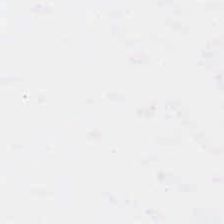Empty field — background (no tissue).
